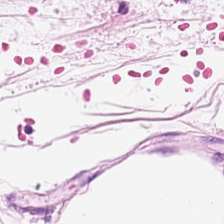Q: What tissue type is shown here?
A: Fat tissue.
